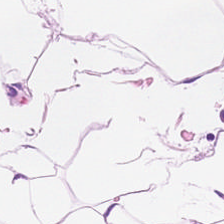H&E-stained tissue section · brightfield. The classification is adipose tissue.
